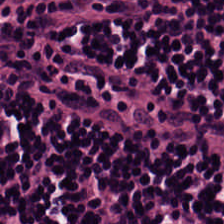H&E stain; FFPE.
Q: What does this patch show?
A: The field shows lymphocytes.
